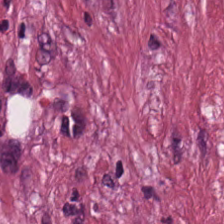H&E-stained tissue section. This field is cancer-associated stroma.
